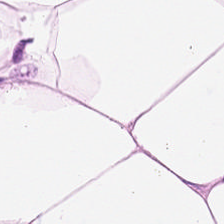224×224 px tile · hematoxylin and eosin. {"tissue_type": "adipose tissue"}
